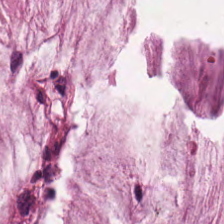WSI patch. 0.5 µm per pixel. Hematoxylin and eosin. This patch shows mucin.
